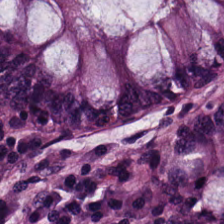H&E stain. Tissue: normal colon mucosa.
